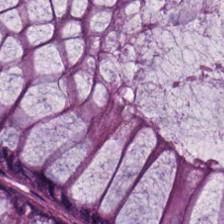Q: What is the predominant tissue type?
A: Benign colonic mucosa.
